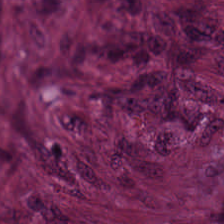Hematoxylin and eosin. 224×224 pixel tile — Cancer-associated stroma.
